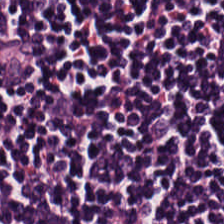Formalin-fixed paraffin-embedded section · H&E.
This patch shows lymphocytic infiltrate.
